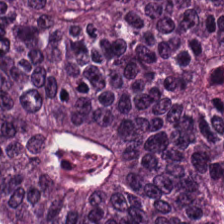H&E-stained tissue section — Finding — colorectal adenocarcinoma.
